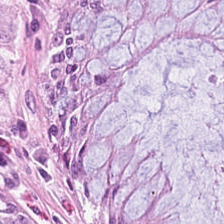Hematoxylin-and-eosin stained section — Classification — normal colon mucosa.
